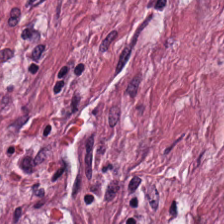Hematoxylin and eosin — Tissue = cancer-associated stroma.
